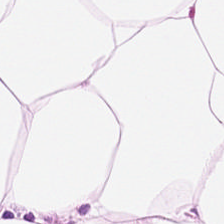H&E-stained tissue section showing adipocytes.
